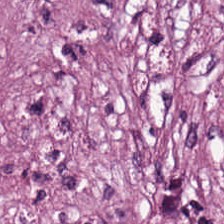Stain: hematoxylin and eosin.
Tissue class: desmoplastic stroma.
